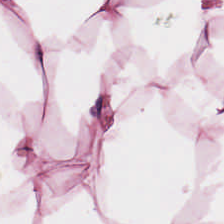Hematoxylin and eosin — Predominantly adipocytes.
